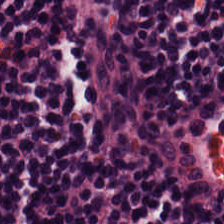H&E. Q: What is the predominant tissue type?
A: Lymphocytic infiltrate.
